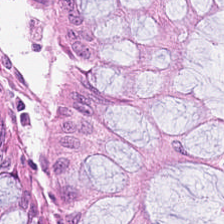224×224 px tile. Hematoxylin-and-eosin stained section. The classification is benign colonic mucosa.
